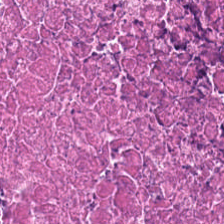H&E stain; 20× equivalent magnification. {"tissue_type": "necrotic debris"}
